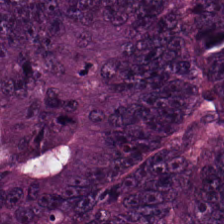WSI patch. H&E-stained tissue section — {"tissue_type": "colorectal adenocarcinoma"}
